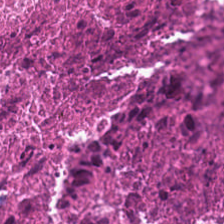224×224 pixel tile · H&E stain — Predominantly necrotic debris.
